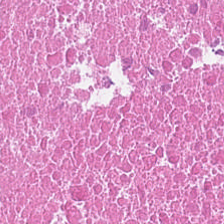H&E-stained section; the field shows debris.
